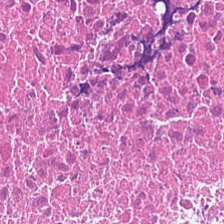Stain: hematoxylin-and-eosin stained section.
Preparation: FFPE.
Tissue: debris.
